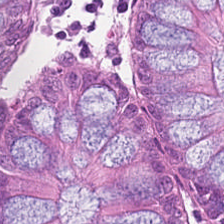FFPE tissue section. WSI patch. Hematoxylin and eosin.
Predominant tissue = normal colon mucosa.
